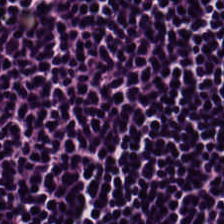Tissue class: lymphocytes.
